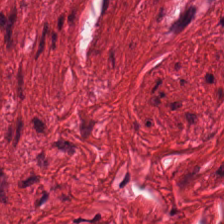Showing muscularis.
